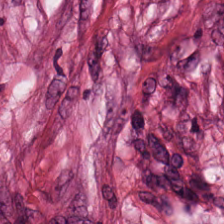Impression → desmoplastic stroma.
